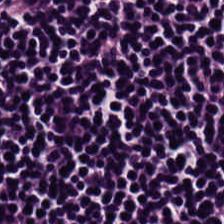H&E stain. Finding → lymphocyte aggregate.
